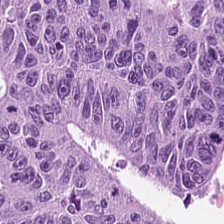H&E-stained tissue section — Classification — adenocarcinoma.
